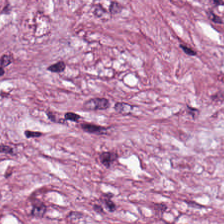H&E-stained tissue section.
This field is tumor-associated stroma.
